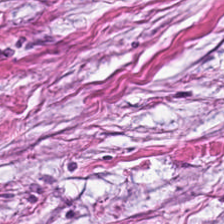The predominant tissue is tumor stroma.
